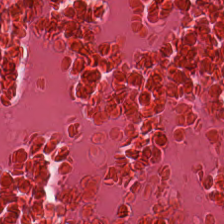H&E-stained tissue section. The predominant tissue is necrotic debris.
